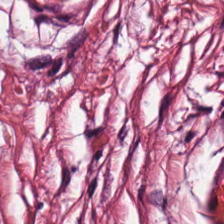H&E-stained tissue section. Impression → desmoplastic stroma.
